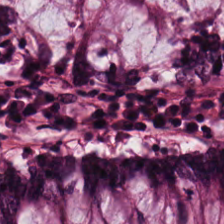Finding → non-neoplastic colon mucosa.
